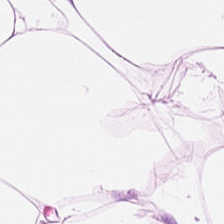H&E stain — Tissue = fat tissue.
